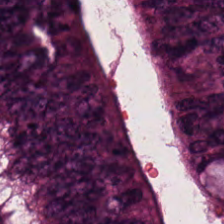Q: Classify this patch.
A: Tumor epithelium.
